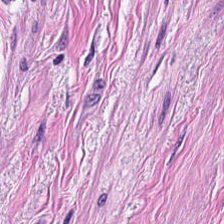H&E. Q: What tissue is shown?
A: It is smooth-muscle tissue.
